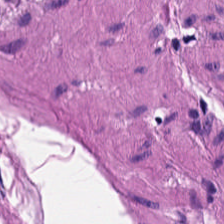224×224 pixel tile. Whole-slide-image patch. Hematoxylin and eosin. The classification is smooth muscle.
